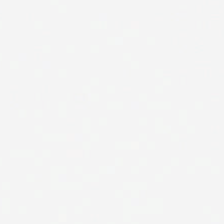Field content: no tissue.
